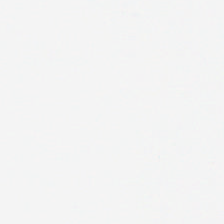H&E stain.
Background — no tissue in this field.
